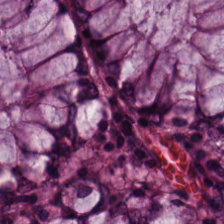224×224 px tile; hematoxylin and eosin — Finding — normal colon mucosa.
